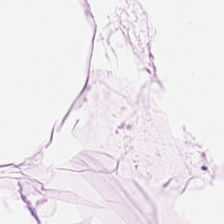Hematoxylin-and-eosin stained section — Tissue — adipose tissue.
